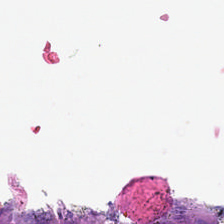Hematoxylin and eosin — {"content": "no tissue"}
